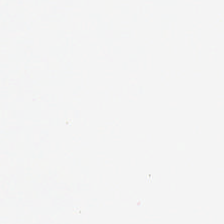H&E; FFPE tissue section — No tissue present; background only.
